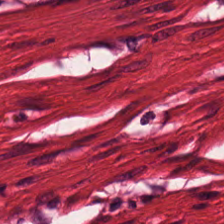Hematoxylin and eosin — The predominant tissue is muscularis.
